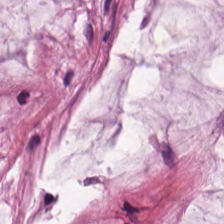H&E stain — Impression — mucin.
